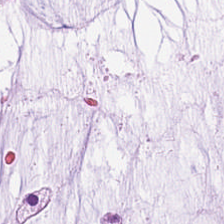H&E.
Tissue = mucus.
